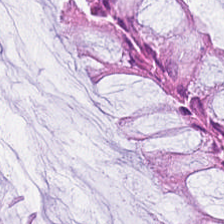Hematoxylin and eosin. Q: What is shown here?
A: It is normal colonic mucosa.
